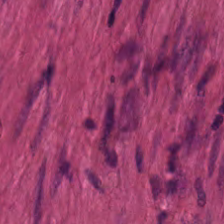H&E patch showing smooth-muscle tissue.
